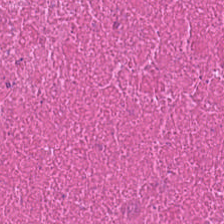Q: What is the predominant tissue type?
A: The field shows debris.
